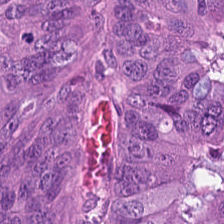Hematoxylin and eosin · formalin-fixed paraffin-embedded section — This field is adenocarcinoma.
